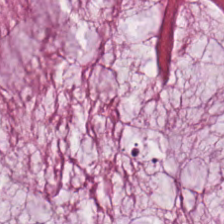Stain: hematoxylin and eosin.
Classification: extracellular mucin.
